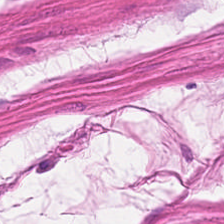Hematoxylin-and-eosin section: muscularis.
